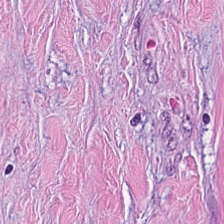Hematoxylin and eosin — Q: What is shown here?
A: Tumor stroma.
